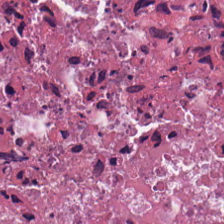Hematoxylin-and-eosin stained section.
Debris.
